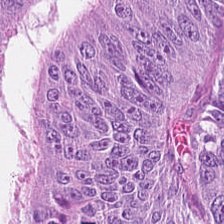Finding → malignant epithelium.
